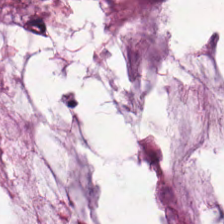Stain: H&E stain.
Tissue type: mucus.
